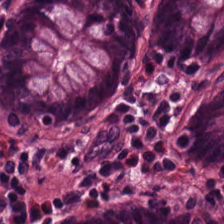Hematoxylin and eosin — This field is normal colonic mucosa.
